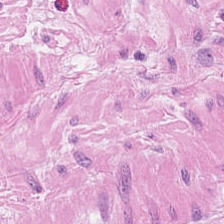H&E. Brightfield.
The tissue here is smooth muscle.
